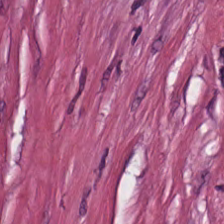0.5 µm/px · H&E-stained tissue section · 224×224 pixel tile.
Tissue class — tumor stroma.
